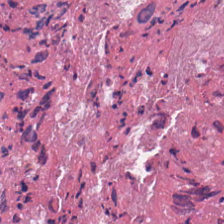The tissue here is necrotic debris.
